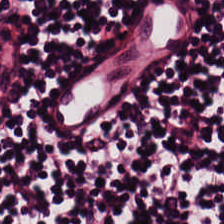20× equivalent magnification. H&E-stained tissue section — The tissue type is lymphocyte aggregate.
